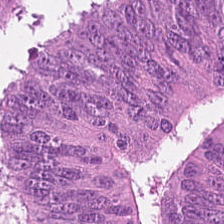Hematoxylin and eosin — Histology → malignant epithelium.
